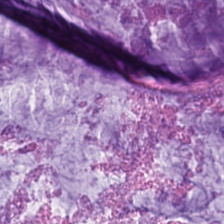H&E-stained tissue section showing mucin.
